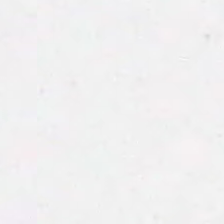Hematoxylin and eosin. {"content": "no tissue"}
